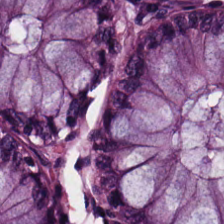FFPE tissue section. Hematoxylin and eosin.
Q: What type of tissue is this?
A: It is non-neoplastic colon mucosa.
